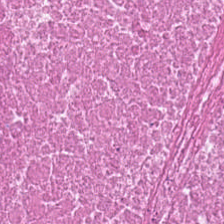H&E stain. Finding → debris.
